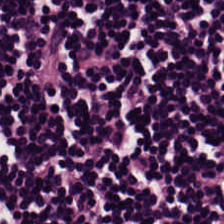Lymphocyte aggregate.
